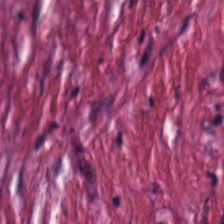H&E stain. FFPE tissue section — Tissue type = cancer-associated stroma.
